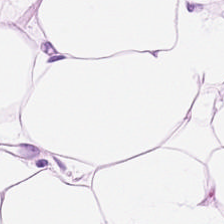224×224 px tile; FFPE; H&E-stained tissue section — Tissue class — adipocytes.
